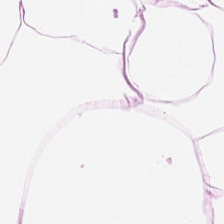Stain: hematoxylin-and-eosin stained section.
Predominant tissue: adipose tissue.
